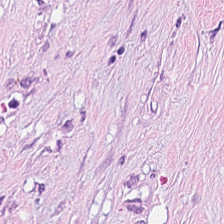H&E stain · 224×224 px patch. Classification — tumor-associated stroma.
